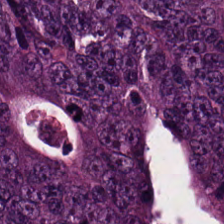The predominant tissue is colorectal adenocarcinoma.
